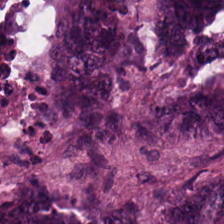Stain: hematoxylin and eosin.
Tissue: adenocarcinoma.
